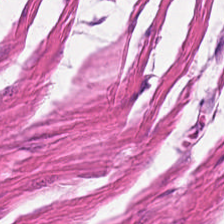{"tissue_type": "smooth-muscle tissue"}
